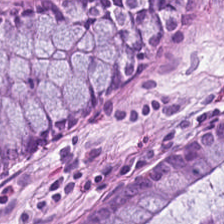{"tissue_type": "benign colonic mucosa"}
